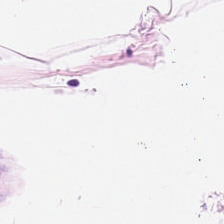Finding → adipocytes.
